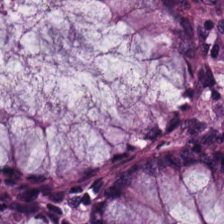Stain: hematoxylin and eosin.
Preparation: FFPE tissue section.
Tissue class: benign colonic mucosa.
